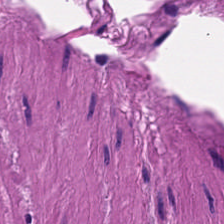0.5 µm per pixel · formalin-fixed paraffin-embedded section · H&E-stained tissue section — {"tissue_type": "smooth muscle"}
